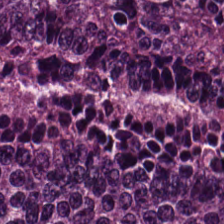Hematoxylin-and-eosin stained section — Adenocarcinoma.
